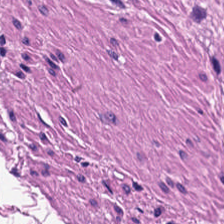Stain: hematoxylin-and-eosin stained section.
Tissue class: smooth muscle.
